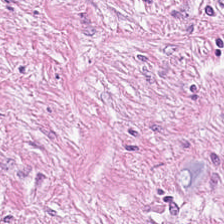224×224 pixel tile. Hematoxylin-and-eosin stained section. Q: Identify the tissue.
A: This is desmoplastic stroma.
